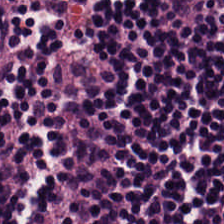Q: What is shown here?
A: Lymphocytes.
